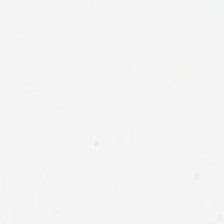Background (no tissue).
